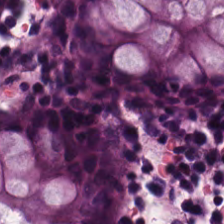H&E — The predominant tissue is normal colon mucosa.
